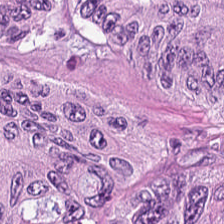H&E-stained tissue section — This field is tumor epithelium.
